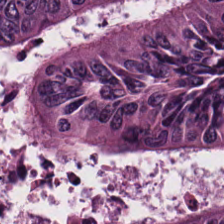Stain: H&E stain.
Classification: colorectal adenocarcinoma epithelium.
